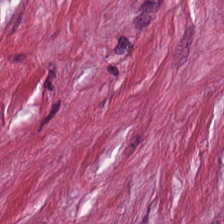H&E-stained tissue section; formalin-fixed paraffin-embedded section.
Q: Identify the tissue.
A: The field shows tumor stroma.
